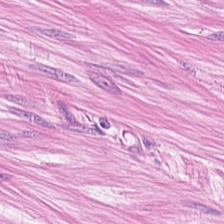Stain: hematoxylin-and-eosin stained section.
Tissue: smooth-muscle tissue.
